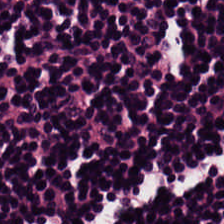224×224 px tile; H&E-stained tissue section.
The tissue here is lymphocyte aggregate.
